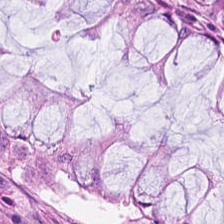H&E patch showing benign colonic mucosa.
